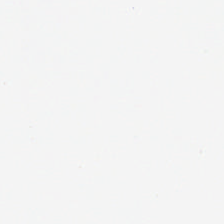H&E-stained tissue section. FFPE. The classification is background.
